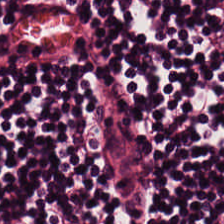Formalin-fixed paraffin-embedded section; H&E-stained tissue section; 224×224 px patch.
Predominantly lymphoid infiltrate.
